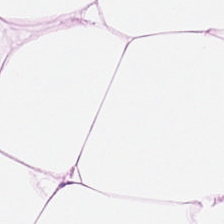{"tissue_type": "adipocytes"}
